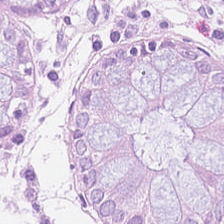Stain: hematoxylin-and-eosin stained section.
Predominant tissue: normal colonic mucosa.
